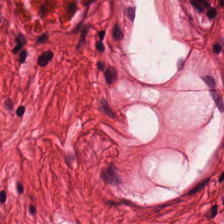Hematoxylin and eosin.
Tissue class = muscularis.
